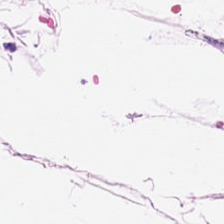Hematoxylin and eosin — Q: What is the predominant tissue type?
A: The field shows adipocytes.
